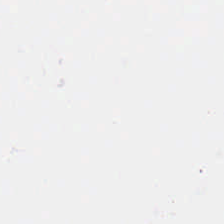Stain: H&E-stained tissue section.
Classification: background.
